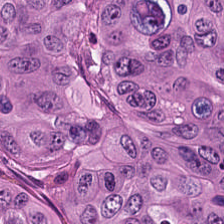FFPE; H&E stain; 224×224 px patch.
The tissue here is malignant epithelium.
